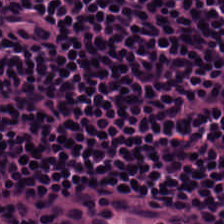H&E stain. This field is lymphocytes.
